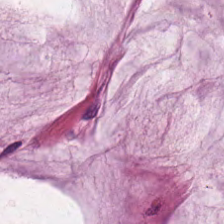Brightfield. 0.5 µm/px. Hematoxylin-and-eosin stained section — Predominant tissue: mucin.
